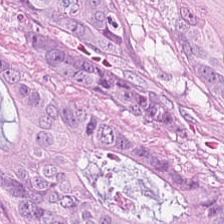Formalin-fixed paraffin-embedded section. 224×224 pixel tile. Hematoxylin-and-eosin stained section — This field is colorectal adenocarcinoma.
